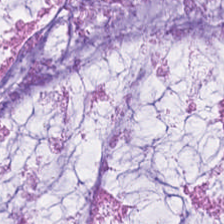0.5 microns per pixel. H&E stain. 224×224 pixel tile. The predominant tissue is mucus.
